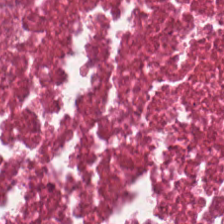Tissue = debris.
